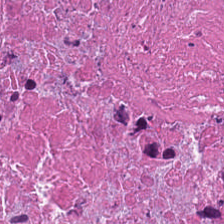Stain: H&E stain.
Tissue: debris.
